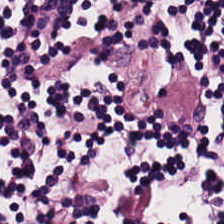{"tissue_type": "lymphocytes"}
